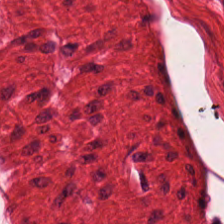{"tissue_type": "smooth-muscle tissue"}
